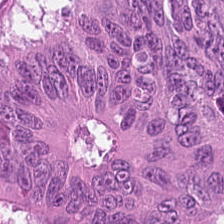Stain: hematoxylin-and-eosin stained section.
Predominant tissue: tumor epithelium.
